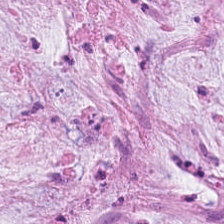H&E. The predominant tissue is mucus.
